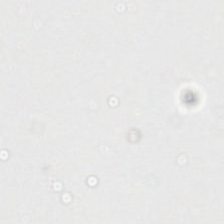0.5 µm per pixel. Hematoxylin and eosin. 224×224 px patch.
Content — background.
